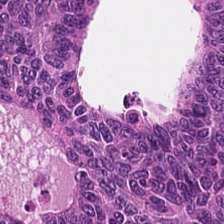0.5 µm per pixel. H&E stain — The tissue is malignant epithelium.
